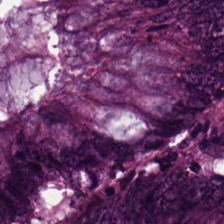0.5 µm per pixel; WSI patch; H&E stain. Impression — adenocarcinoma.
